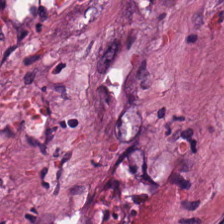H&E-stained tissue section — {"tissue_type": "desmoplastic stroma"}
